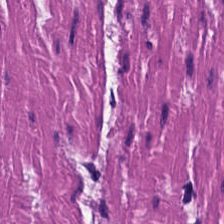H&E stain. Tissue class = smooth muscle.
